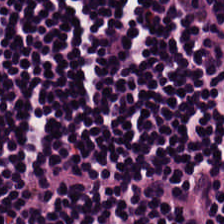WSI patch. H&E. Tissue class = lymphoid infiltrate.
